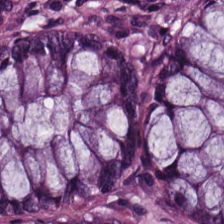Hematoxylin and eosin. 224×224 px patch.
Normal colon mucosa.
